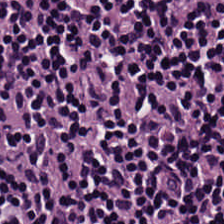H&E — The predominant tissue is lymphocytes.
